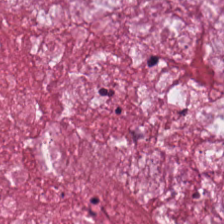Finding — extracellular mucin.
